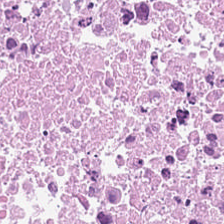Hematoxylin and eosin — Finding — cellular debris.
